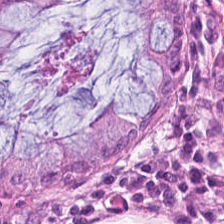Hematoxylin-and-eosin stained section — The tissue here is non-neoplastic colon mucosa.
